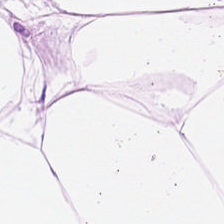Stain: H&E-stained tissue section.
Preparation: FFPE tissue section.
Tissue class: fat tissue.
